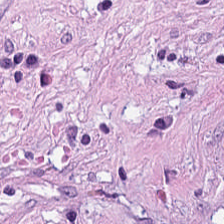0.5 µm per pixel · hematoxylin and eosin · FFPE.
The predominant tissue is desmoplastic stroma.
